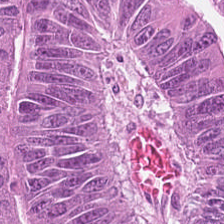H&E.
{"tissue_type": "colorectal adenocarcinoma epithelium"}
